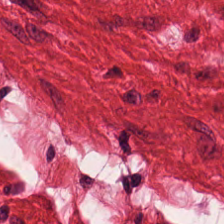H&E stain. Whole-slide-image patch — The tissue is smooth-muscle tissue.
